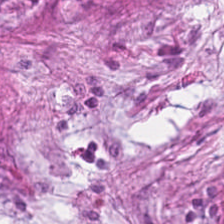Tissue type — cancer-associated stroma.
